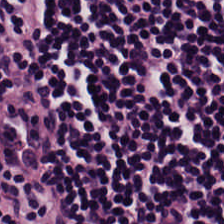Hematoxylin and eosin. {"tissue_type": "lymphocytes"}
